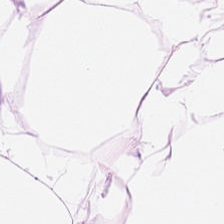Hematoxylin and eosin. 224×224 px tile. Histology → adipocytes.
